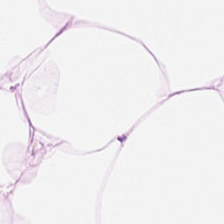FFPE. Hematoxylin-and-eosin stained section. 0.5 µm/px.
Predominantly adipose tissue.
